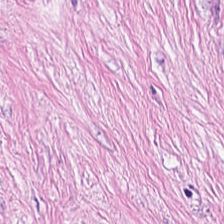Hematoxylin-and-eosin stained section; brightfield. Predominant tissue: cancer-associated stroma.
